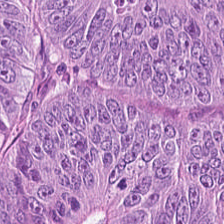Formalin-fixed paraffin-embedded section; H&E stain — Q: Identify the tissue.
A: Malignant epithelium.
